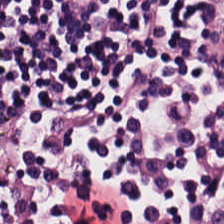H&E stain; FFPE.
Histology — lymphoid infiltrate.
